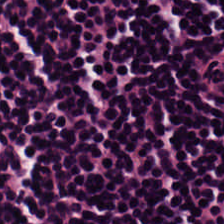Brightfield microscopy · H&E-stained tissue section — Q: What is the predominant tissue type?
A: Lymphocyte aggregate.
